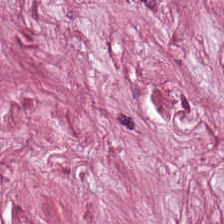224×224 pixel tile; 0.5 microns per pixel; H&E-stained tissue section — Tissue class — tumor-associated stroma.
